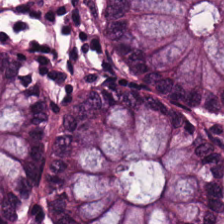H&E.
Non-neoplastic colon mucosa.
